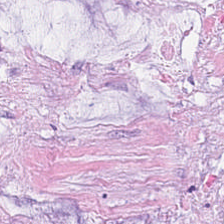H&E-stained tissue section; 0.5 µm/px; brightfield.
Predominantly extracellular mucin.
